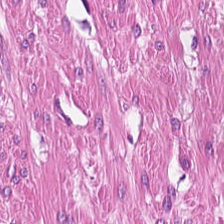Tissue — muscularis.
